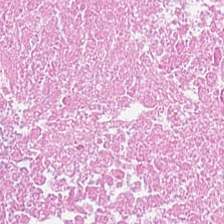Hematoxylin and eosin — Predominantly debris.
